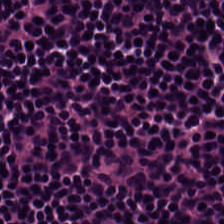Q: What is shown in this field?
A: The field shows lymphocytes.
